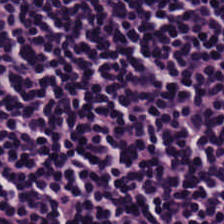FFPE · H&E-stained tissue section — Predominant tissue: lymphoid infiltrate.
